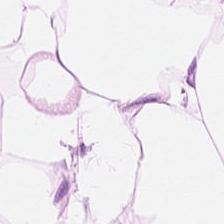Stain: H&E-stained tissue section.
Predominant tissue: adipose.
